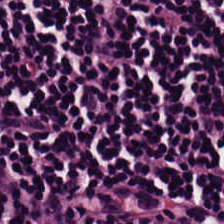WSI patch. H&E — The classification is lymphocytic infiltrate.
